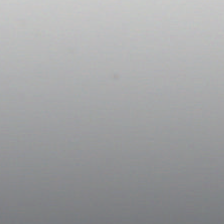Stain: hematoxylin-and-eosin stained section.
Preparation: formalin-fixed paraffin-embedded section.
Tile size: 224×224 pixel tile.
Field content: empty background.
